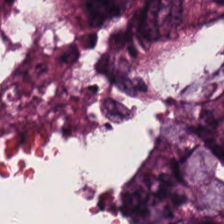FFPE tissue section; H&E stain; 224×224 pixel tile. Impression — malignant epithelium.
